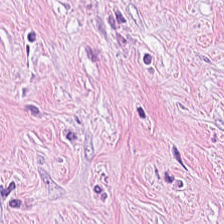Hematoxylin and eosin.
Predominant tissue: cancer-associated stroma.
